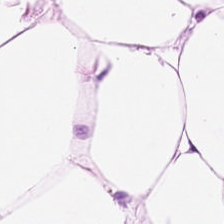Hematoxylin-and-eosin stained section.
Showing fat tissue.
